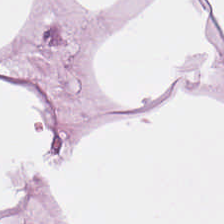Hematoxylin and eosin; 224×224 px tile — Q: What is shown here?
A: It is adipocytes.
